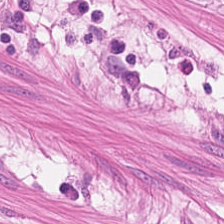224×224 pixel tile · whole-slide-image patch · hematoxylin and eosin. {"tissue_type": "smooth-muscle tissue"}
